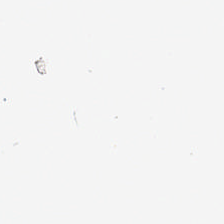H&E-stained tissue section. Classification = background.
